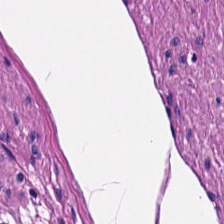H&E stain. 224×224 px patch. FFPE tissue section — Q: What tissue is shown?
A: It is smooth muscle.
